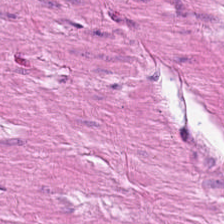H&E-stained tissue section showing smooth muscle.
